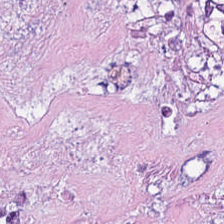Showing debris.
